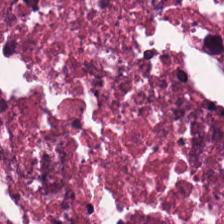The predominant tissue is debris.
